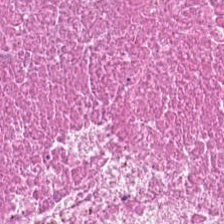Hematoxylin-and-eosin stained section.
Tissue = necrotic debris.
